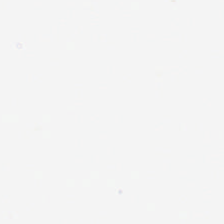H&E stain — Empty background.
